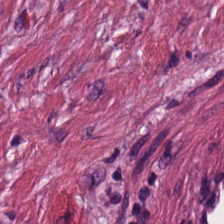224×224 pixel tile; hematoxylin-and-eosin stained section — Predominant tissue — desmoplastic stroma.
